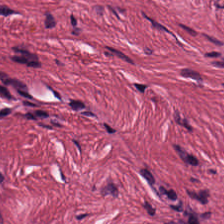H&E-stained tissue section.
Showing desmoplastic stroma.
